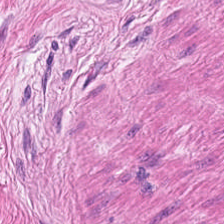Stain: H&E-stained tissue section.
Resolution: 20× equivalent magnification.
Tissue: smooth-muscle tissue.
